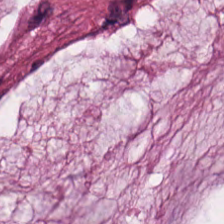{"tissue_type": "extracellular mucin"}
